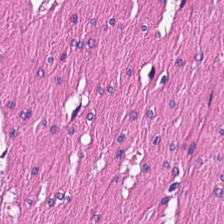Hematoxylin and eosin. This patch shows smooth-muscle tissue.
